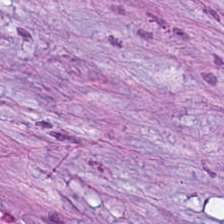Stain: hematoxylin and eosin.
Tissue: tumor-associated stroma.
